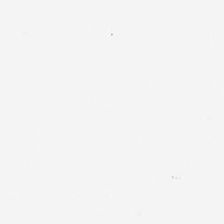Hematoxylin and eosin. Field content = no tissue.
